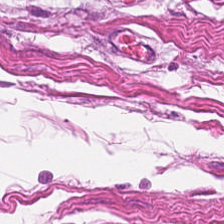Finding → muscularis.
